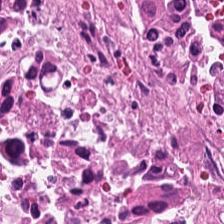224×224 px tile · brightfield · hematoxylin and eosin — The predominant tissue is necrotic debris.
